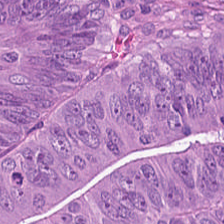Stain: hematoxylin-and-eosin stained section.
Tissue: tumor epithelium.
